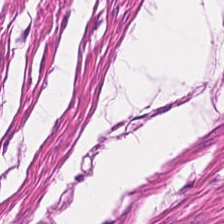Q: What tissue is shown?
A: This is smooth muscle.
